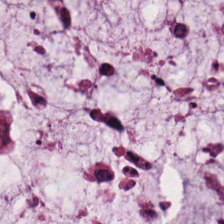Hematoxylin-and-eosin stained section · 0.5 µm per pixel.
Q: What does this patch show?
A: The field shows mucus.
